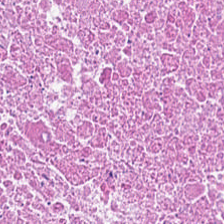H&E — Showing cellular debris.
